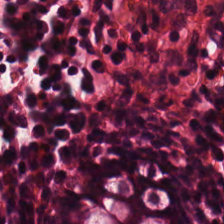H&E. 224×224 pixel tile — Tissue class — normal colon mucosa.
